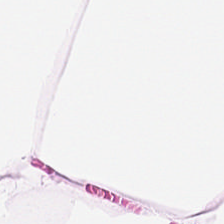Q: What does this patch show?
A: The field shows fat tissue.
